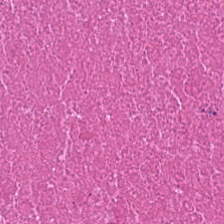H&E stain.
Histology → cellular debris.
